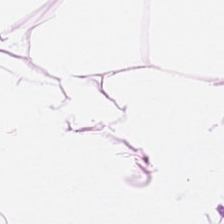H&E; brightfield.
The predominant tissue is adipose.
